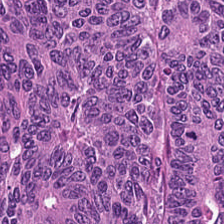Hematoxylin and eosin.
Tissue class = malignant epithelium.
